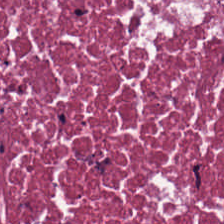Stain: H&E stain.
Preparation: formalin-fixed paraffin-embedded section.
Classification: debris.
